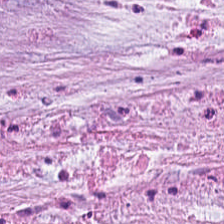Hematoxylin and eosin. FFPE.
The predominant tissue is extracellular mucin.
